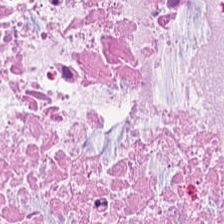Hematoxylin and eosin. {"tissue_type": "cellular debris"}
